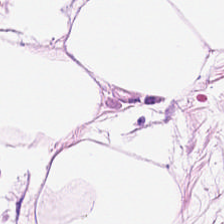H&E stain.
Predominantly fat tissue.
